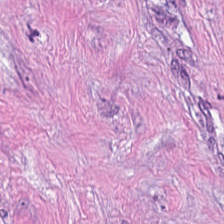H&E stain. 224×224 px patch. Brightfield.
Impression → cancer-associated stroma.
